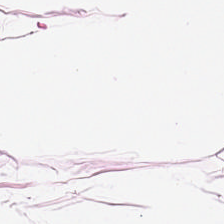Tissue class — adipose.
